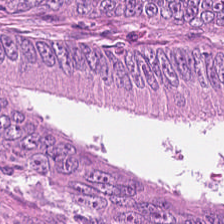This patch shows tumor epithelium.
